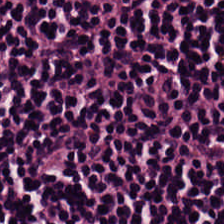H&E; formalin-fixed paraffin-embedded section. Q: Classify this patch.
A: This is lymphoid infiltrate.
